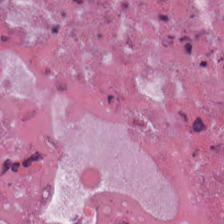H&E stain.
Debris.
